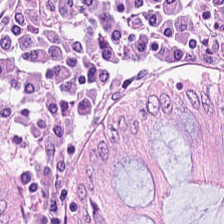Hematoxylin-and-eosin stained section; FFPE tissue section; 0.5 µm/px. The classification is benign colonic mucosa.
